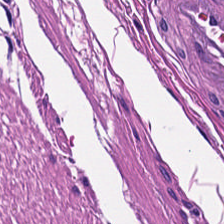WSI patch. Hematoxylin and eosin. Tissue type: smooth muscle.
